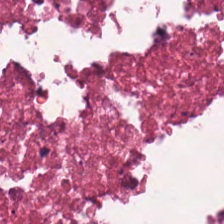Stain: hematoxylin and eosin.
Tissue class: necrotic debris.
